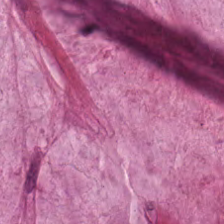Impression → mucin.
